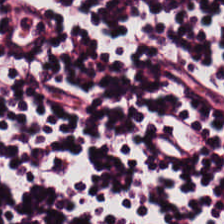H&E-stained tissue section. 0.5 microns per pixel. 224×224 px tile — Tissue class — lymphocytes.
